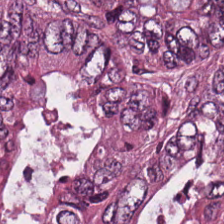{"tissue_type": "colorectal adenocarcinoma"}
